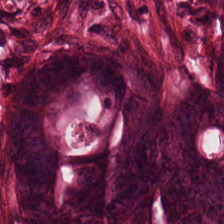Hematoxylin-and-eosin stained section — Showing malignant epithelium.
